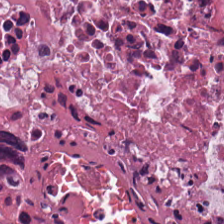Tissue: cellular debris.
